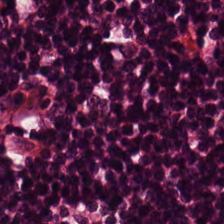Formalin-fixed paraffin-embedded section · H&E · brightfield microscopy — Q: Classify this patch.
A: This is lymphoid infiltrate.
